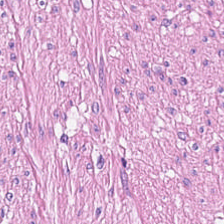Classification — muscularis.
